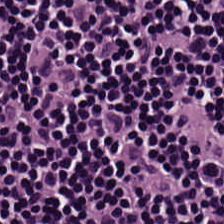H&E stain — The tissue here is lymphocytic infiltrate.
